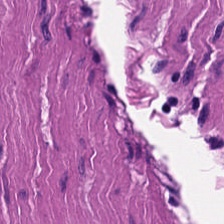Stain: hematoxylin and eosin.
Preparation: FFPE.
Predominant tissue: muscularis.
